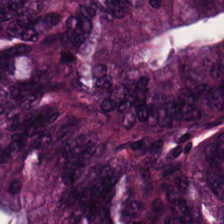H&E — adenocarcinoma.
